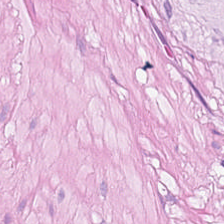H&E patch showing smooth-muscle tissue.
